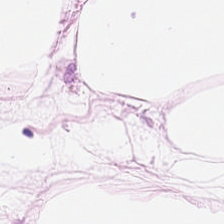Stain: H&E-stained tissue section.
Tile size: 224×224 pixel tile.
Acquisition: brightfield.
Tissue: adipose.
